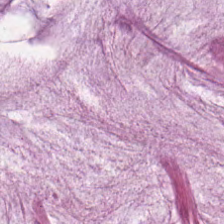Hematoxylin and eosin. 224×224 px patch. FFPE tissue section. The tissue here is mucin.
